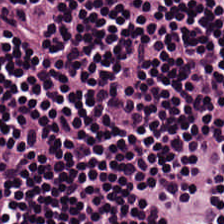H&E. The predominant tissue is lymphocytes.
